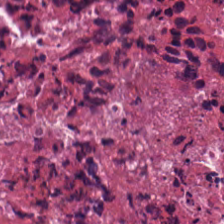Predominant tissue = cellular debris.
